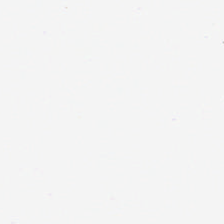Whole-slide-image patch; FFPE tissue section; H&E stain.
Content: no tissue.
